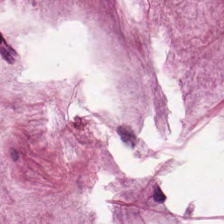H&E; 224×224 px patch. Showing mucin.
